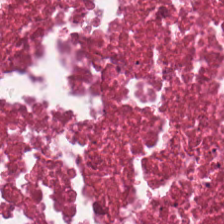FFPE tissue section · H&E — Impression — necrotic debris.
